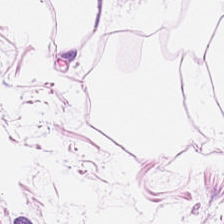Showing adipose.
